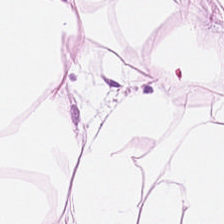H&E-stained tissue section.
Finding → adipocytes.
